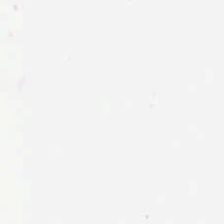H&E-stained tissue section. Formalin-fixed paraffin-embedded section. 224×224 pixel tile.
This patch shows no tissue.
